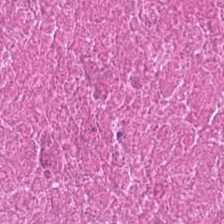Stain: H&E.
Classification: debris.
